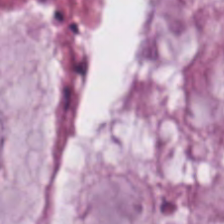H&E-stained tissue section; brightfield microscopy — The tissue here is extracellular mucin.
